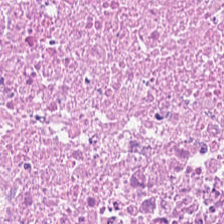Histology — necrotic debris.
